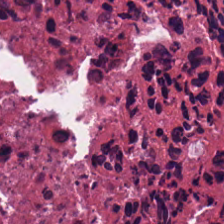H&E.
Tissue — cellular debris.
